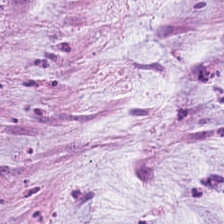Stain: H&E stain.
Resolution: 0.5 µm per pixel.
Tissue type: mucin.
